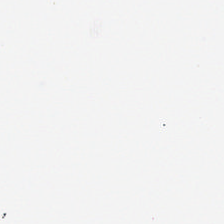H&E.
Empty field — no tissue.
